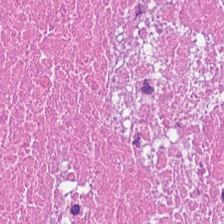H&E stain. Classification = debris.
